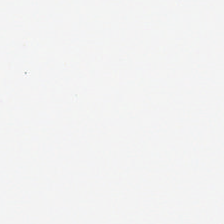H&E stain.
No tissue present; background only.
